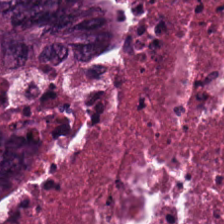Hematoxylin-and-eosin stained section. This field is adenocarcinoma.
